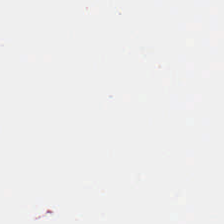Hematoxylin-and-eosin stained section. FFPE tissue section. 224×224 pixel tile — Q: What is shown here?
A: Empty background.
